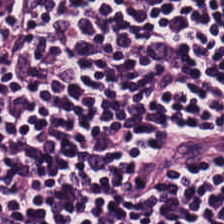Stain: hematoxylin-and-eosin stained section.
Resolution: 0.5 microns per pixel.
Classification: lymphoid infiltrate.
